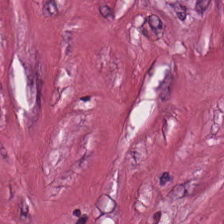H&E-stained tissue section; FFPE tissue section — Q: Identify the tissue.
A: It is cancer-associated stroma.
